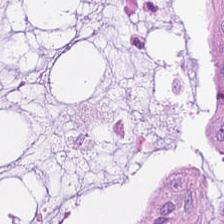Stain: H&E stain.
Tissue: extracellular mucin.
